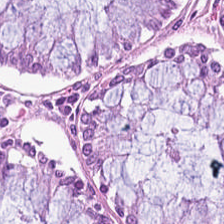Hematoxylin-and-eosin stained section — Classification: benign colonic mucosa.
